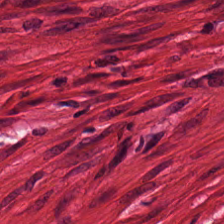H&E stain — Tissue type: muscularis.
